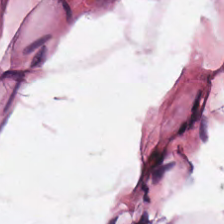H&E. {"tissue_type": "fat tissue"}
